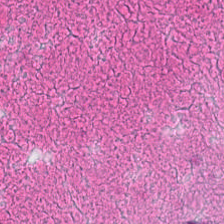Hematoxylin and eosin. Finding — necrotic debris.
